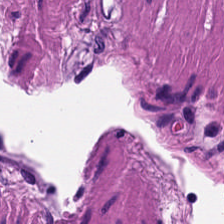H&E stain · 224×224 pixel tile. The tissue here is muscularis.
